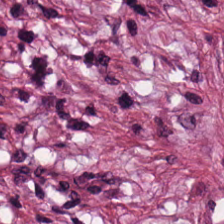The tissue here is tumor stroma.
